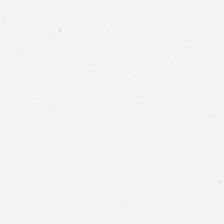0.5 µm per pixel · hematoxylin-and-eosin stained section — Q: What is shown in this field?
A: It is empty background.
